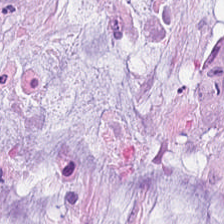The tissue here is mucus.
